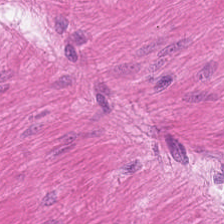H&E-stained tissue section.
Tissue: smooth muscle.
